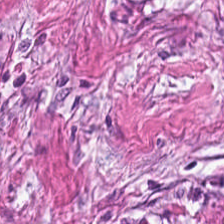Hematoxylin and eosin.
Predominantly cancer-associated stroma.
